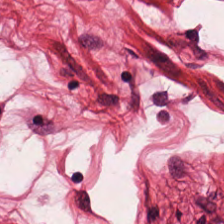H&E-stained tissue section; FFPE.
{"tissue_type": "smooth muscle"}
